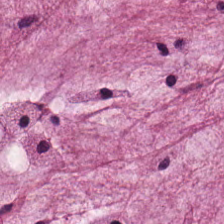Hematoxylin and eosin.
Tissue: mucus.
